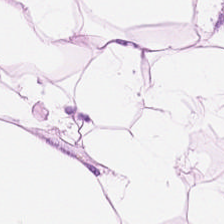Stain: H&E.
Acquisition: brightfield microscopy.
Tissue type: adipocytes.
